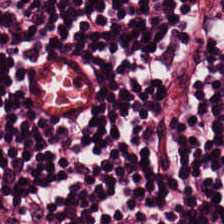WSI patch. H&E stain. 224×224 pixel tile. The tissue class is lymphoid infiltrate.
